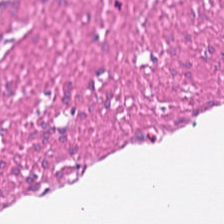0.5 µm per pixel; H&E; FFPE.
Tissue = smooth-muscle tissue.
